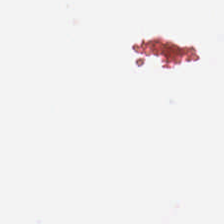No tissue present; background only.
